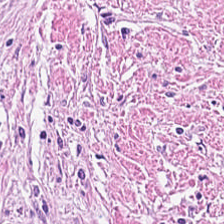The predominant tissue is tumor stroma.
